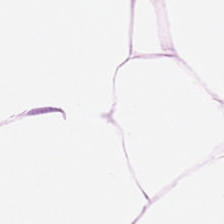Hematoxylin-and-eosin section: fat tissue.
